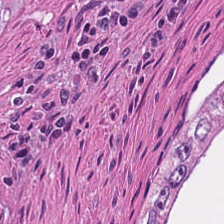Formalin-fixed paraffin-embedded section. Hematoxylin-and-eosin stained section — This field is necrotic debris.
